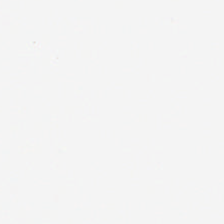H&E.
Field content: empty background.
